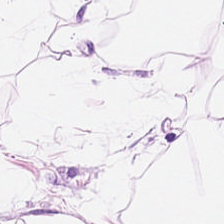H&E-stained tissue section; 224×224 px patch.
{"tissue_type": "adipose"}
